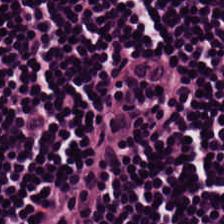Stain: hematoxylin and eosin.
Tissue type: lymphocytic infiltrate.
